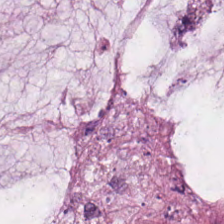Finding — extracellular mucin.
